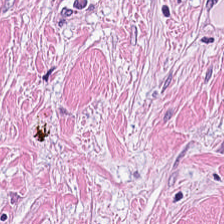Hematoxylin and eosin.
Tissue type = tumor stroma.
